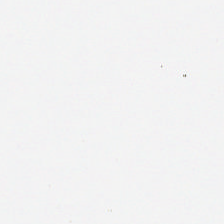Hematoxylin and eosin.
Classification: empty background.
